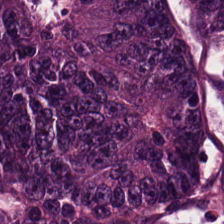Predominant tissue — adenocarcinoma.
